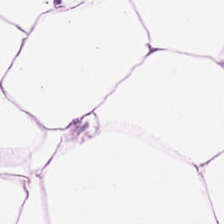Hematoxylin and eosin — Fat tissue.
